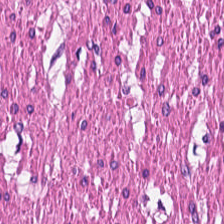Classification = smooth-muscle tissue.
